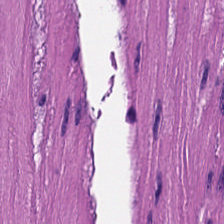This patch shows smooth-muscle tissue.
